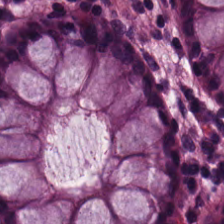H&E stain — The tissue type is normal colonic mucosa.
